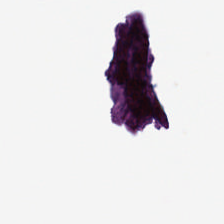WSI patch. H&E.
Content = no tissue.
